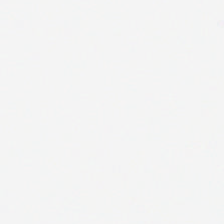Impression — no tissue.
